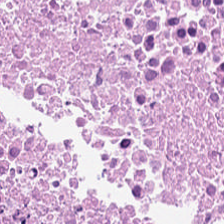Stain: H&E-stained tissue section.
Predominant tissue: necrotic debris.
